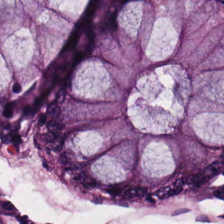H&E stain — Tissue type: benign colonic mucosa.
